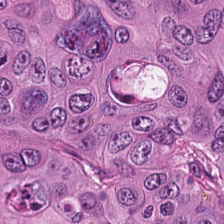Hematoxylin-and-eosin stained section — Impression — tumor epithelium.
